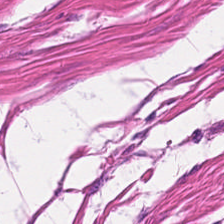224×224 px patch · formalin-fixed paraffin-embedded section · hematoxylin-and-eosin stained section — Histology → muscularis.
